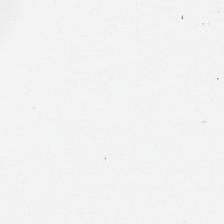Hematoxylin and eosin. Whole-slide-image patch. 224×224 pixel tile — Content: background (no tissue).
